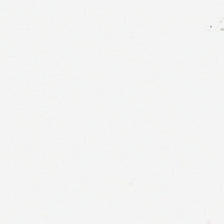H&E stain — Q: What is shown here?
A: The field shows no tissue.
